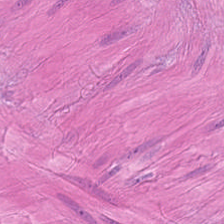Hematoxylin and eosin — Showing smooth muscle.
